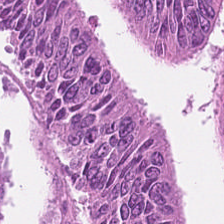The tissue here is tumor epithelium.
